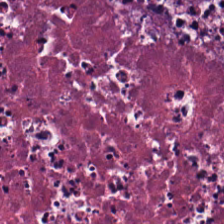The predominant tissue is debris.
